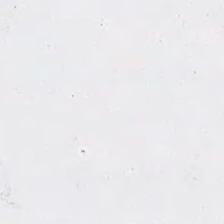0.5 µm per pixel · hematoxylin-and-eosin stained section.
Classification = empty background.
